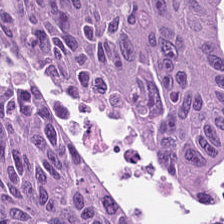Stain: H&E stain.
Tile size: 224×224 px tile.
Resolution: 0.5 µm per pixel.
Tissue: malignant epithelium.
